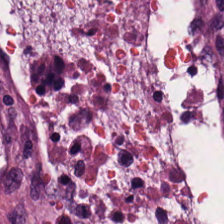0.5 µm/px; H&E stain. Showing cancer-associated stroma.
